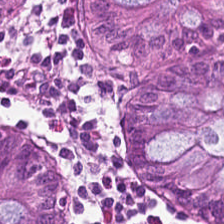H&E-stained tissue section. The tissue is benign colonic mucosa.
